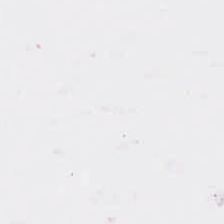H&E stain — No tissue present; background only.
